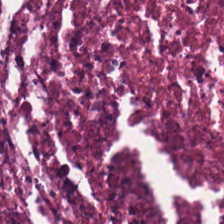{"tissue_type": "debris"}
